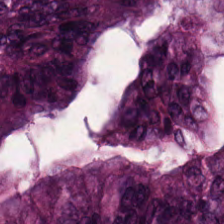Hematoxylin and eosin · 224×224 pixel tile.
Tissue type — malignant epithelium.
